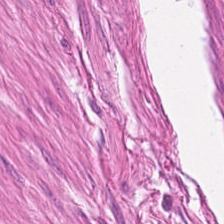224×224 pixel tile; hematoxylin-and-eosin stained section; 20× equivalent magnification.
Finding → smooth muscle.
